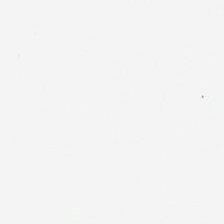Formalin-fixed paraffin-embedded section · H&E-stained tissue section.
Q: What does this patch show?
A: The field shows no tissue.
